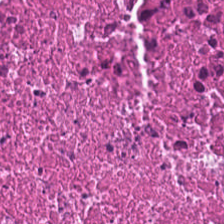Hematoxylin-and-eosin section: debris.
